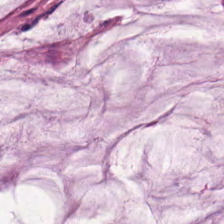FFPE. H&E stain. 0.5 µm/px — This patch shows mucus.
